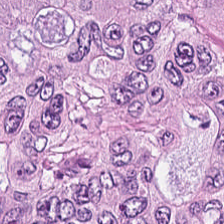Stain: hematoxylin-and-eosin stained section.
Predominant tissue: colorectal adenocarcinoma.
